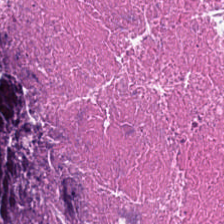H&E-stained tissue section — Necrotic debris.
